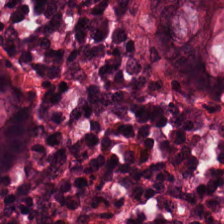H&E stain. Q: What is shown here?
A: Normal colonic mucosa.
